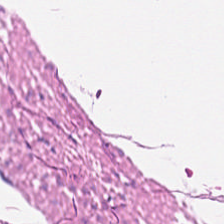H&E — Q: What is shown in this field?
A: This is smooth muscle.
